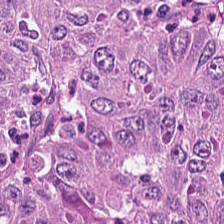Finding — adenocarcinoma.
